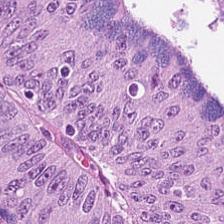Stain: hematoxylin and eosin.
Tissue class: adenocarcinoma.
